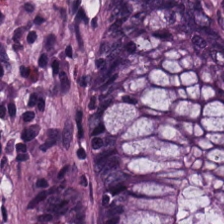224×224 px patch; 0.5 µm per pixel; H&E — Predominantly non-neoplastic colon mucosa.
